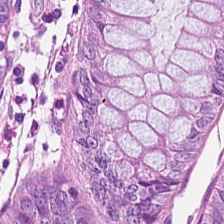Hematoxylin-and-eosin stained section — This field is benign colonic mucosa.
